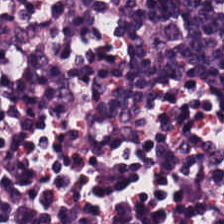H&E; 224×224 px patch. Q: What tissue is shown?
A: It is lymphocytic infiltrate.
